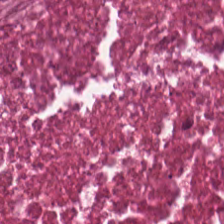FFPE tissue section; H&E-stained tissue section.
This field is debris.
